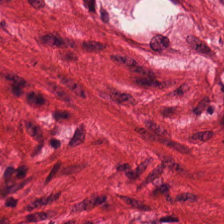Predominantly smooth-muscle tissue.
